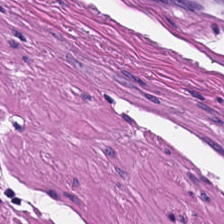Hematoxylin and eosin.
The predominant tissue is smooth muscle.
